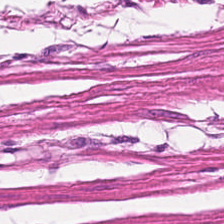{"tissue_type": "smooth-muscle tissue"}
